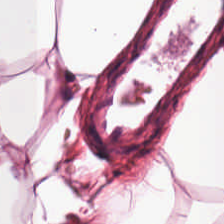H&E. Tissue: adipose tissue.
